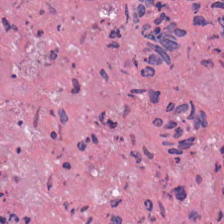Predominant tissue — debris.
